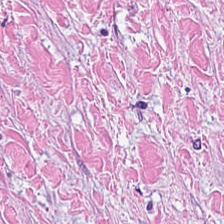H&E stain · 0.5 µm per pixel · WSI patch — Q: What type of tissue is this?
A: This is cancer-associated stroma.
